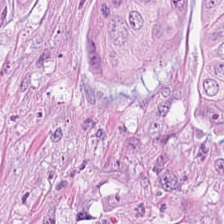H&E stain · FFPE tissue section. Finding — adenocarcinoma.
